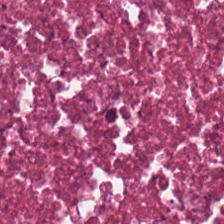H&E · brightfield.
Tissue = necrotic debris.
